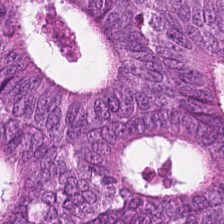Hematoxylin-and-eosin stained section; brightfield microscopy.
Showing colorectal adenocarcinoma.
